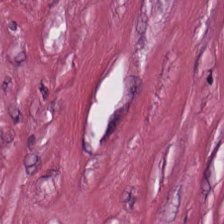Hematoxylin-and-eosin stained section — {"tissue_type": "tumor stroma"}
